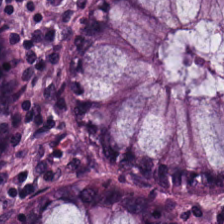Hematoxylin and eosin. Q: Classify this patch.
A: It is normal colon mucosa.
